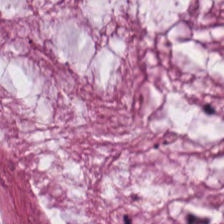Hematoxylin and eosin.
This patch shows mucus.
